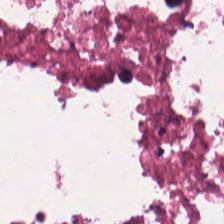FFPE. H&E. Whole-slide-image patch.
Q: What is shown in this field?
A: This is cellular debris.
